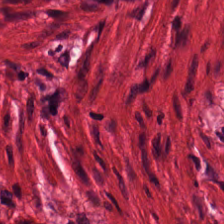Stain: H&E-stained tissue section.
Predominant tissue: smooth muscle.
